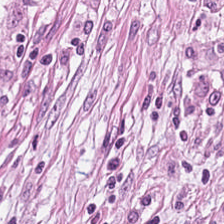H&E. 0.5 µm per pixel. Q: What is shown in this field?
A: Desmoplastic stroma.
